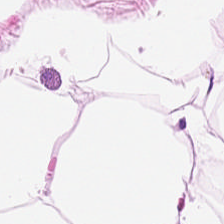Hematoxylin and eosin — Tissue = adipose tissue.
